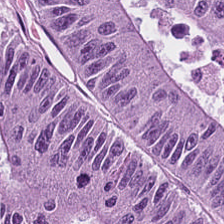H&E.
Predominantly colorectal adenocarcinoma.
